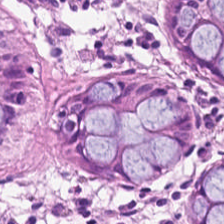H&E-stained tissue section · FFPE tissue section · 0.5 µm per pixel — Predominant tissue — benign colonic mucosa.
